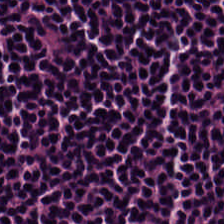H&E stain.
This patch shows lymphocyte aggregate.
